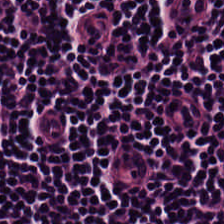Q: What is shown in this field?
A: Lymphocytic infiltrate.
